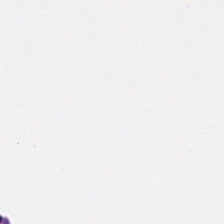224×224 pixel tile. H&E-stained tissue section. 20× equivalent magnification — Finding → non-neoplastic colon mucosa.
